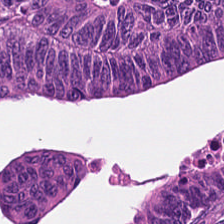FFPE tissue section · H&E stain · 0.5 microns per pixel.
This patch shows colorectal adenocarcinoma.
